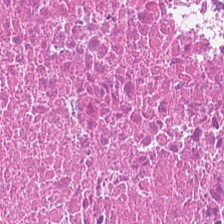0.5 microns per pixel. H&E.
Tissue — necrotic debris.
